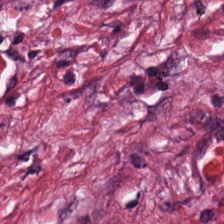Brightfield · hematoxylin-and-eosin stained section · formalin-fixed paraffin-embedded section.
Q: Classify this patch.
A: The field shows tumor stroma.
